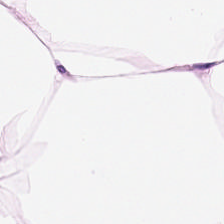Predominantly adipocytes.
